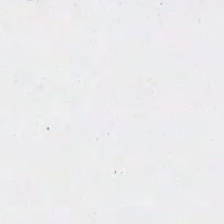Q: What is shown here?
A: It is background (no tissue).
